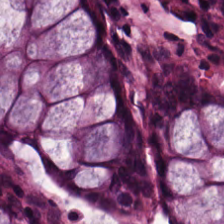Q: What type of tissue is this?
A: This is normal colon mucosa.
